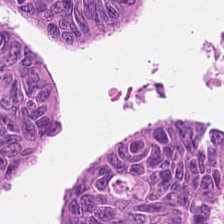Hematoxylin-and-eosin stained section — Predominant tissue — tumor epithelium.
